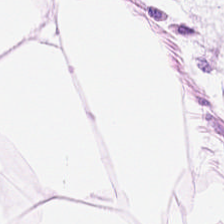Impression → fat tissue.
